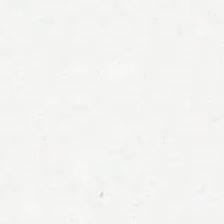Stain: hematoxylin-and-eosin stained section.
Classification: empty background.
